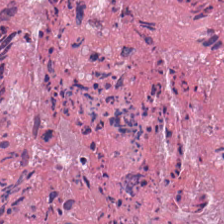H&E stain. 224×224 px patch — Predominant tissue: debris.
